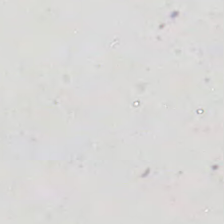H&E-stained tissue section. This patch shows empty background.
